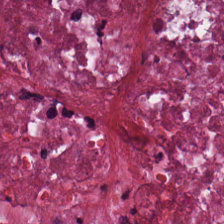Impression — debris.
